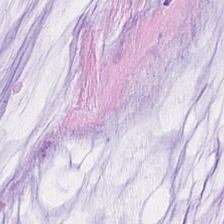FFPE tissue section; hematoxylin and eosin; 224×224 px tile. The classification is mucus.
